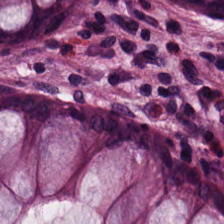224×224 px tile · hematoxylin-and-eosin stained section — Q: What tissue type is shown here?
A: This is normal colonic mucosa.
